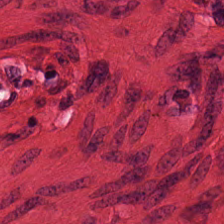Stain: hematoxylin and eosin.
Predominant tissue: smooth muscle.
